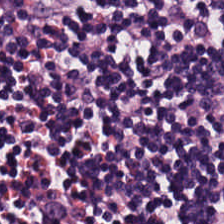Hematoxylin-and-eosin stained section. 224×224 pixel tile.
Tissue class — lymphocyte aggregate.
